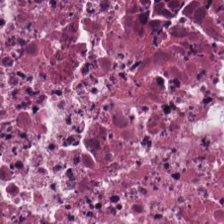H&E-stained tissue section · 224×224 px patch · brightfield. The tissue here is necrotic debris.
